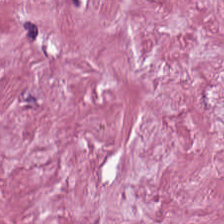Tumor-associated stroma.
